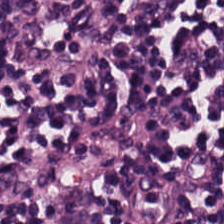224×224 px patch; brightfield; hematoxylin and eosin — This field is lymphocytes.
